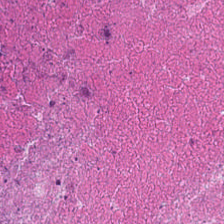Hematoxylin and eosin.
Debris.
